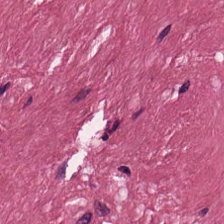H&E-stained tissue section. Classification — tumor stroma.
